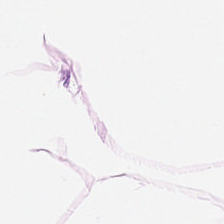H&E stain — Showing fat tissue.
